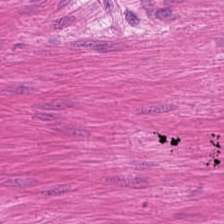224×224 px patch; H&E stain — The classification is smooth muscle.
